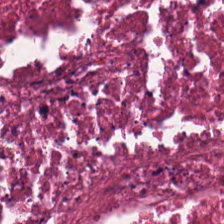Formalin-fixed paraffin-embedded section. Hematoxylin-and-eosin stained section. 0.5 µm per pixel — Q: What tissue is shown?
A: This is necrotic debris.
